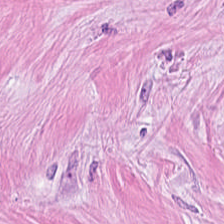H&E-stained tissue section — Q: Classify this patch.
A: Desmoplastic stroma.
